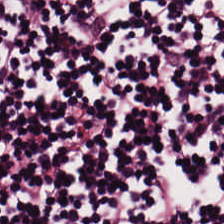Finding — lymphoid infiltrate.
